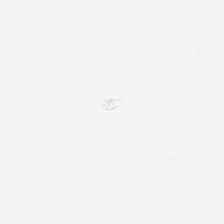H&E-stained tissue section.
Q: Classify this patch.
A: It is background (no tissue).
